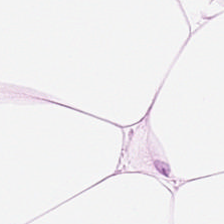Hematoxylin-and-eosin stained section. FFPE tissue section.
Q: Classify this patch.
A: Adipocytes.
